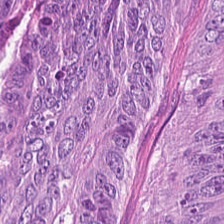Predominantly tumor epithelium.
